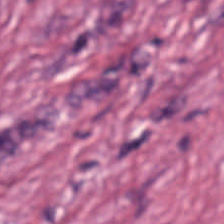Hematoxylin-and-eosin stained section; 224×224 px patch.
Finding — cancer-associated stroma.
